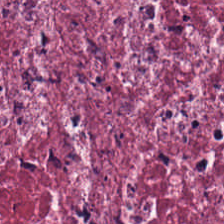H&E-stained tissue section. Brightfield — Tissue type = cancer-associated stroma.
